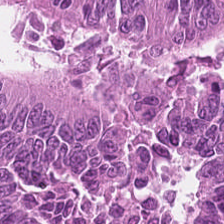224×224 px patch. Hematoxylin and eosin. Formalin-fixed paraffin-embedded section.
Tissue = tumor epithelium.
